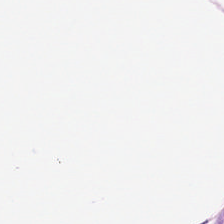H&E; 224×224 px patch — The tissue type is adipose tissue.
